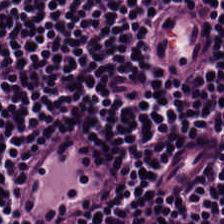The tissue here is lymphocytes.
